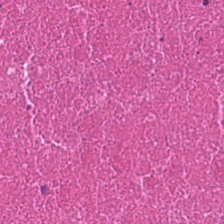H&E-stained tissue section — Tissue class — cellular debris.
